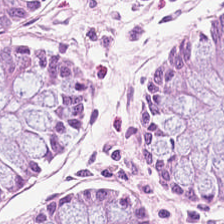Showing normal colonic mucosa.
